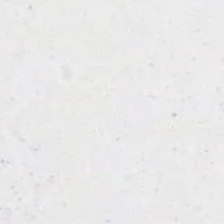Hematoxylin-and-eosin stained section.
Background — no tissue in this field.
